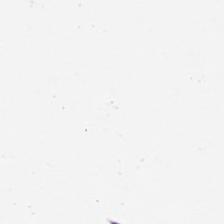0.5 µm per pixel; H&E — Predominantly fat tissue.
